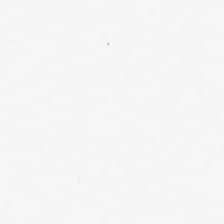FFPE tissue section · H&E stain. Content = empty background.
